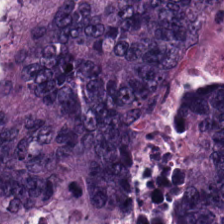224×224 px tile; formalin-fixed paraffin-embedded section; H&E stain — The predominant tissue is colorectal adenocarcinoma.
